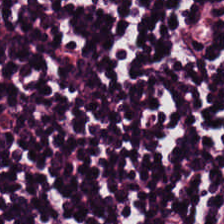H&E.
{"tissue_type": "lymphocytes"}
